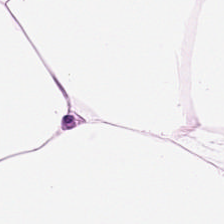H&E stain. Adipose tissue.
